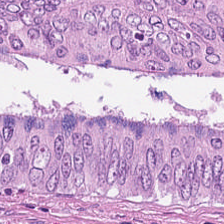H&E-stained tissue section.
Q: Classify this patch.
A: This is colorectal adenocarcinoma.
